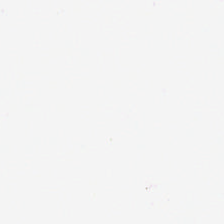H&E-stained tissue section.
The classification is background (no tissue).
